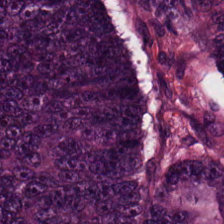H&E-stained tissue section; formalin-fixed paraffin-embedded section.
The tissue here is colorectal adenocarcinoma.
